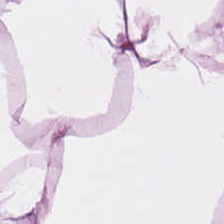H&E-stained tissue section — {"tissue_type": "fat tissue"}
